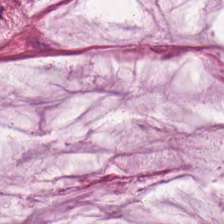{"tissue_type": "mucin"}
